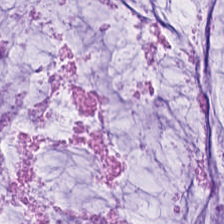WSI patch; hematoxylin and eosin.
This field is mucus.
